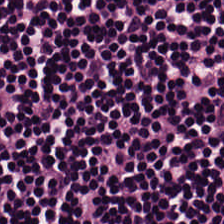Stain: hematoxylin and eosin.
Tissue: lymphoid infiltrate.
